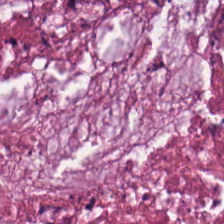WSI patch · 224×224 pixel tile · hematoxylin-and-eosin stained section — The tissue here is necrotic debris.
